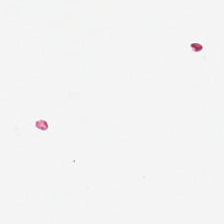Hematoxylin and eosin. {"content": "empty background"}
